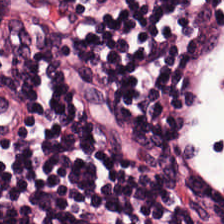Stain: hematoxylin and eosin.
Tissue type: lymphocytes.
